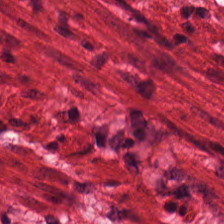Hematoxylin and eosin. FFPE tissue section. This patch shows smooth-muscle tissue.
